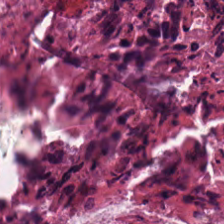H&E — The tissue class is necrotic debris.
